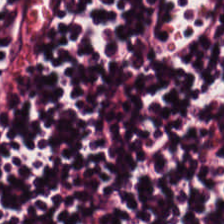Q: What is shown in this field?
A: Lymphocyte aggregate.
